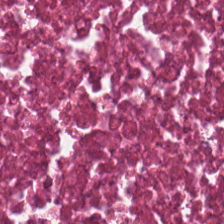0.5 microns per pixel; H&E.
Histology — cellular debris.
